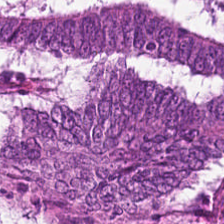FFPE tissue section. H&E stain. Tissue type: adenocarcinoma.
